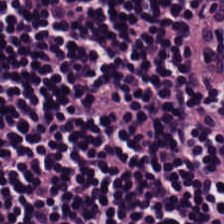FFPE · H&E stain — The predominant tissue is lymphoid infiltrate.
